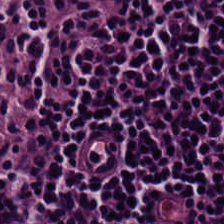H&E stain; FFPE tissue section; 0.5 µm per pixel — This patch shows lymphocytic infiltrate.
